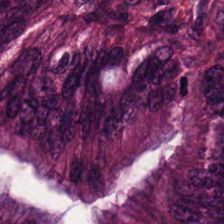20× equivalent magnification; H&E. Impression → colorectal adenocarcinoma epithelium.
